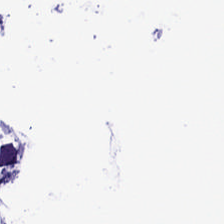Hematoxylin-and-eosin stained section. 20× equivalent magnification. No tissue present; background only.
